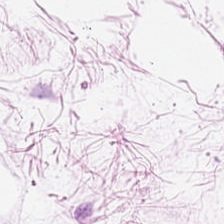224×224 pixel tile. Hematoxylin-and-eosin stained section.
Showing fat tissue.
